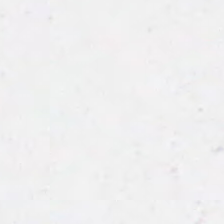Background — no tissue in this field.
